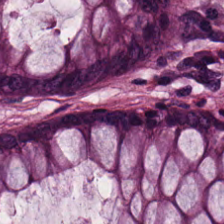H&E — Benign colonic mucosa.
